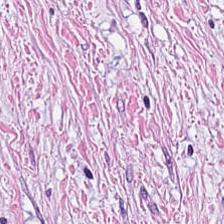H&E stain.
Tissue type — tumor-associated stroma.
